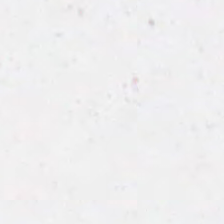Hematoxylin-and-eosin stained section. Histology — background (no tissue).
